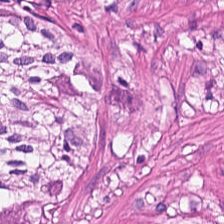H&E patch showing smooth muscle.
